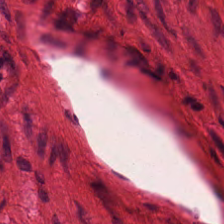Brightfield; hematoxylin-and-eosin stained section; 0.5 µm per pixel. Showing smooth-muscle tissue.
